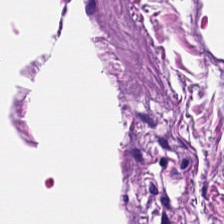H&E stain. Q: What does this patch show?
A: It is smooth muscle.
